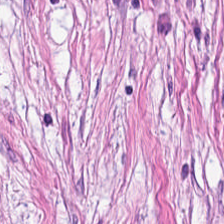H&E stain. Histology — tumor-associated stroma.
